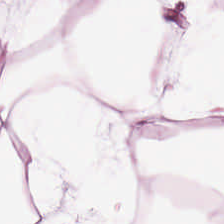The predominant tissue is adipocytes.
